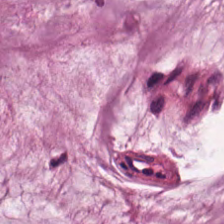The tissue here is mucus.
